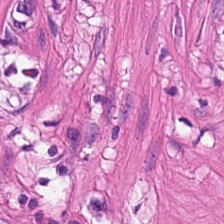Stain: H&E stain.
Tissue: smooth muscle.
